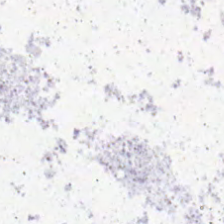Hematoxylin and eosin.
The classification is no tissue.
